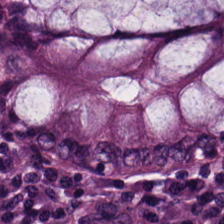Stain: hematoxylin-and-eosin stained section.
Tissue class: normal colon mucosa.
